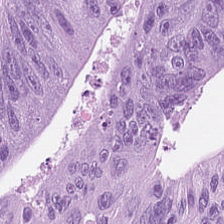H&E · 224×224 px patch — The tissue here is malignant epithelium.
